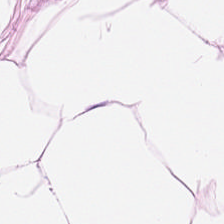H&E-stained tissue section showing adipose.
